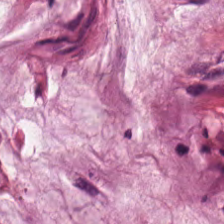H&E-stained tissue section. Predominantly mucus.
